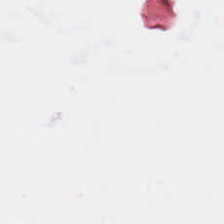H&E stain.
No tissue present; background only.
